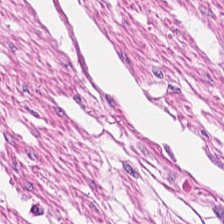H&E-stained tissue section · 224×224 pixel tile · 0.5 microns per pixel. The predominant tissue is smooth muscle.
